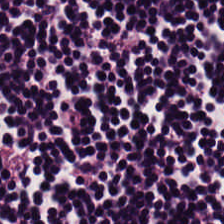Hematoxylin-and-eosin stained section. The tissue is lymphocyte aggregate.
